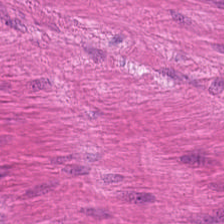Stain: hematoxylin and eosin.
Tile size: 224×224 px patch.
Tissue type: muscularis.
